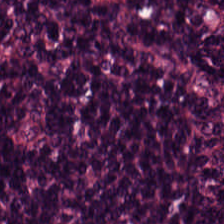H&E — lymphocyte aggregate.
